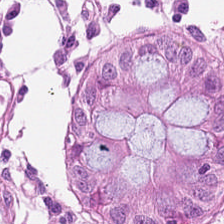The tissue type is non-neoplastic colon mucosa.
